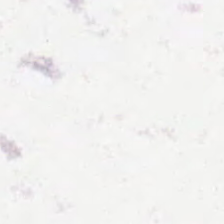Content = background.
